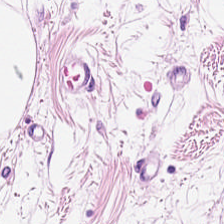This field is adipose tissue.
